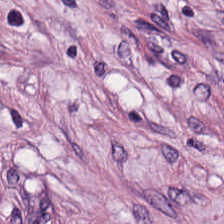Hematoxylin and eosin. Predominant tissue: tumor-associated stroma.
